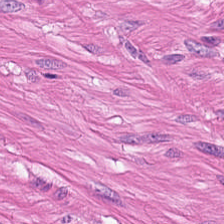224×224 pixel tile. H&E-stained tissue section. 0.5 microns per pixel.
This patch shows smooth muscle.
